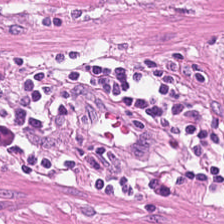224×224 pixel tile. H&E. {"tissue_type": "smooth-muscle tissue"}
